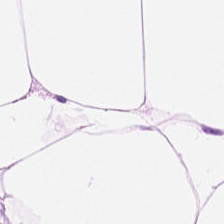Stain: H&E stain.
Tile size: 224×224 px patch.
Tissue type: fat tissue.
